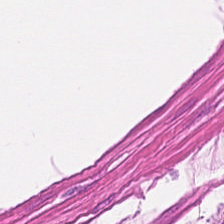Q: What tissue type is shown here?
A: It is muscularis.
